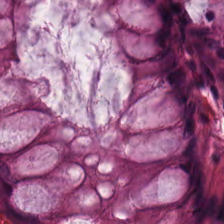Hematoxylin-and-eosin stained section. Q: What does this patch show?
A: The field shows normal colon mucosa.
